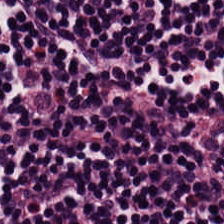Brightfield. H&E-stained tissue section.
This patch shows lymphocytic infiltrate.
